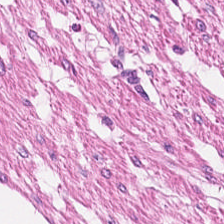Q: What is the predominant tissue type?
A: It is muscularis.
